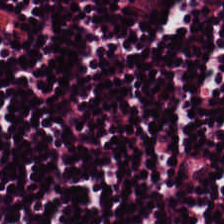Hematoxylin and eosin. The tissue here is lymphocytes.
